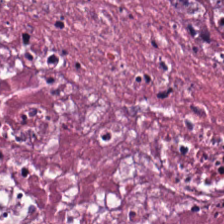H&E stain.
This patch shows cellular debris.
